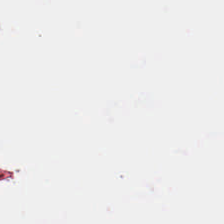H&E-stained tissue section — Q: Classify this patch.
A: Empty background.
